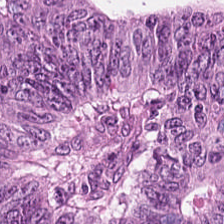Hematoxylin and eosin. Q: What tissue is shown?
A: The field shows colorectal adenocarcinoma.
